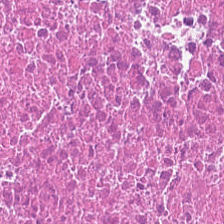Stain: H&E stain.
Classification: cellular debris.
